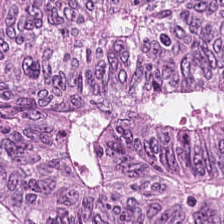H&E stain — The predominant tissue is colorectal adenocarcinoma.
